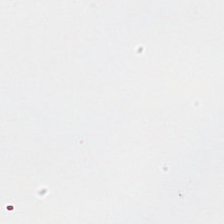Histology — background.
